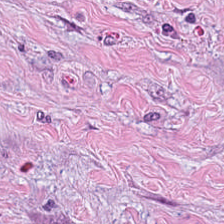0.5 µm/px; WSI patch; hematoxylin-and-eosin stained section — Cancer-associated stroma.
